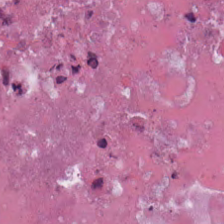H&E — cellular debris.
